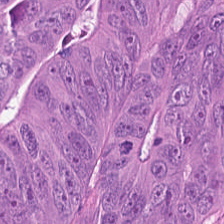H&E-stained tissue section showing colorectal adenocarcinoma.
